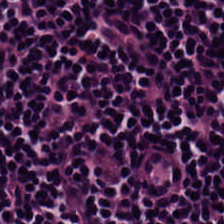Hematoxylin-and-eosin stained section. 20× equivalent magnification.
Q: Identify the tissue.
A: The field shows lymphoid infiltrate.
